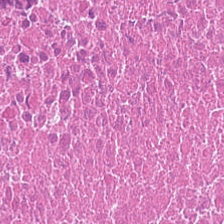0.5 microns per pixel; H&E stain — Predominant tissue = cellular debris.
